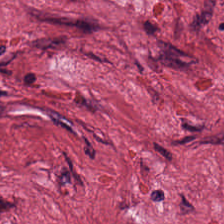0.5 µm/px; hematoxylin and eosin; whole-slide-image patch. Q: What is shown in this field?
A: The field shows desmoplastic stroma.
